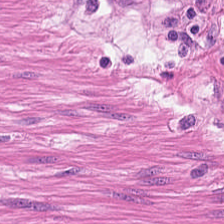H&E-stained tissue section.
Showing smooth muscle.
